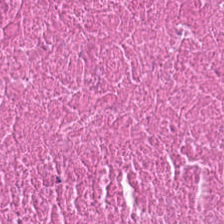Hematoxylin-and-eosin stained section.
This patch shows debris.
